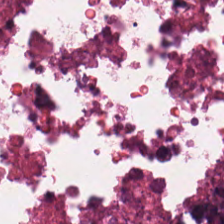H&E — {"tissue_type": "necrotic debris"}
